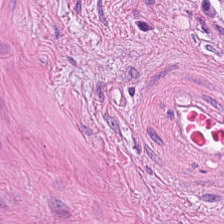Hematoxylin-and-eosin stained section. The tissue class is muscularis.
